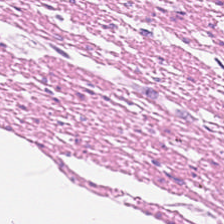H&E-stained tissue section. FFPE. 0.5 microns per pixel — The tissue type is smooth muscle.
